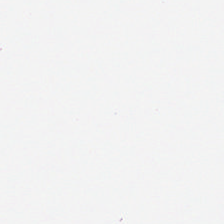Histology — no tissue.
